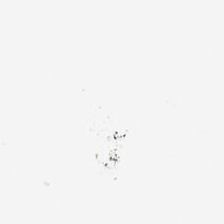H&E stain. Histology → background (no tissue).
